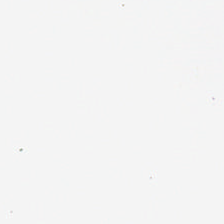H&E stain — Q: Classify this patch.
A: Background.
